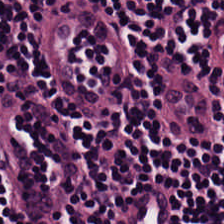Hematoxylin-and-eosin stained section; WSI patch.
Q: What does this patch show?
A: This is lymphocyte aggregate.
